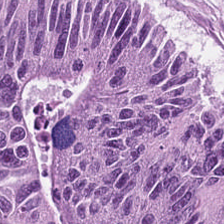This patch shows tumor epithelium.
